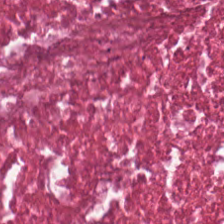Brightfield. H&E stain.
Tissue — debris.
